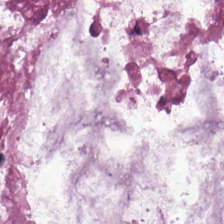Stain: H&E-stained tissue section.
Tissue class: extracellular mucin.
